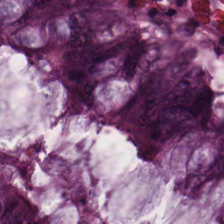H&E-stained tissue section — Predominant tissue: benign colonic mucosa.
